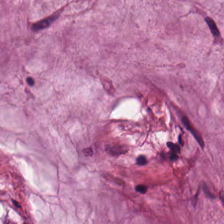The classification is extracellular mucin.
